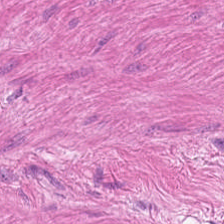Hematoxylin-and-eosin stained section — Finding — muscularis.
